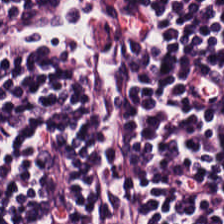Hematoxylin-and-eosin stained section.
Tissue type = lymphocytic infiltrate.
